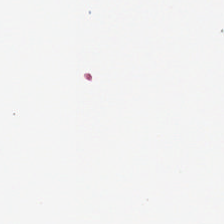Hematoxylin-and-eosin stained section. Field content: empty background.
